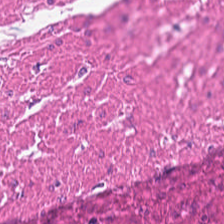Tissue type: smooth muscle.
